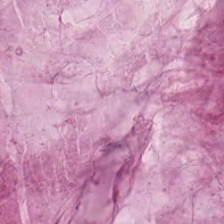Hematoxylin and eosin — Mucin.
